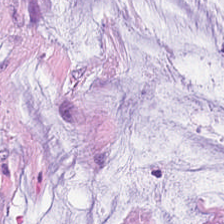H&E stain — The classification is extracellular mucin.
